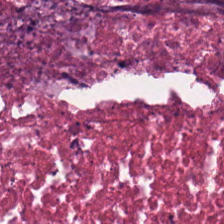Hematoxylin-and-eosin stained section. Whole-slide-image patch. The predominant tissue is cellular debris.
